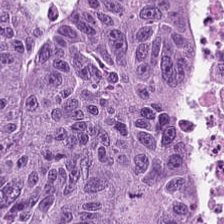224×224 px tile · H&E.
Tissue — colorectal adenocarcinoma.
